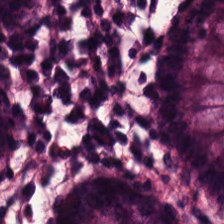Hematoxylin and eosin · 224×224 px patch. The tissue here is non-neoplastic colon mucosa.
